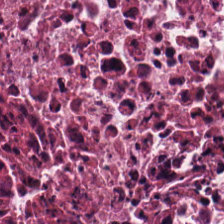Histology — cellular debris.
